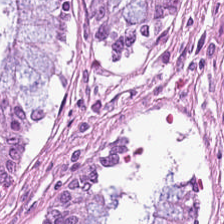WSI patch; H&E-stained tissue section. The predominant tissue is non-neoplastic colon mucosa.
